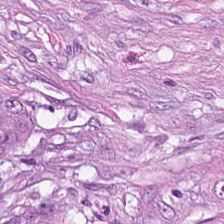Hematoxylin and eosin — Finding → cancer-associated stroma.
